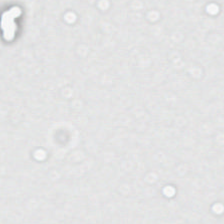This patch shows background (no tissue).
